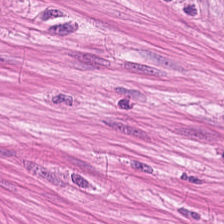H&E-stained tissue section; 0.5 µm per pixel.
The tissue class is smooth muscle.
